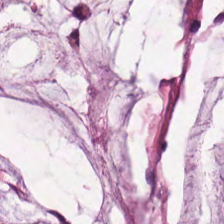20× equivalent magnification. H&E. 224×224 px patch. Q: What is shown in this field?
A: The field shows extracellular mucin.
